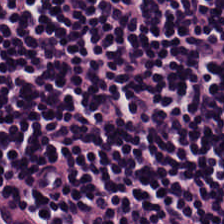Hematoxylin-and-eosin stained section; formalin-fixed paraffin-embedded section — Tissue type — lymphoid infiltrate.
